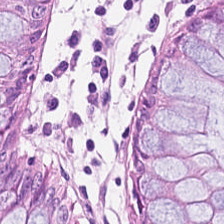{"tissue_type": "benign colonic mucosa"}
